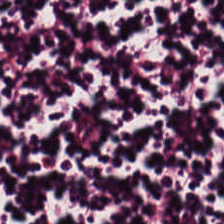Hematoxylin and eosin · 0.5 µm/px.
Impression → lymphoid infiltrate.
